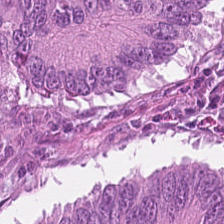Stain: H&E-stained tissue section.
Classification: colorectal adenocarcinoma epithelium.
